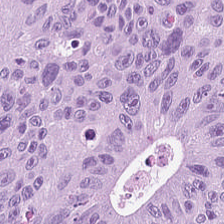H&E · 224×224 px tile · whole-slide-image patch. The tissue is tumor epithelium.
